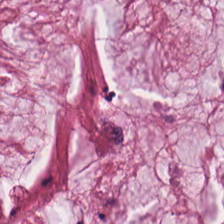H&E.
Showing mucin.
